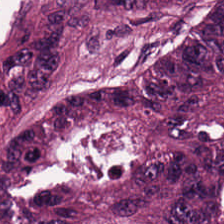H&E-stained tissue section — This patch shows colorectal adenocarcinoma.
